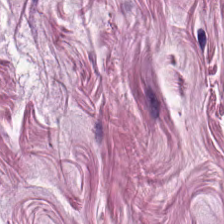Stain: hematoxylin-and-eosin stained section.
Tissue type: smooth muscle.
